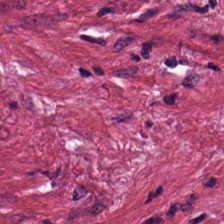0.5 microns per pixel · hematoxylin and eosin. Q: What type of tissue is this?
A: Tumor stroma.
